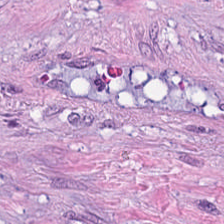Showing tumor stroma.
